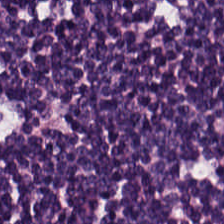FFPE · 224×224 px patch · H&E.
The predominant tissue is lymphocyte aggregate.
